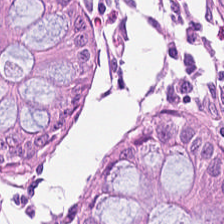Impression → normal colonic mucosa.
